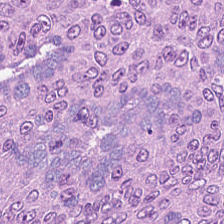H&E stain — The tissue here is colorectal adenocarcinoma epithelium.
